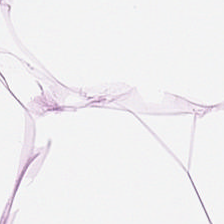Hematoxylin and eosin — This patch shows fat tissue.
